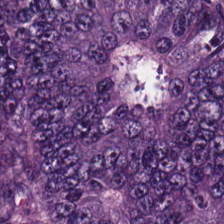Formalin-fixed paraffin-embedded section · hematoxylin-and-eosin stained section.
Q: What does this patch show?
A: It is colorectal adenocarcinoma.
